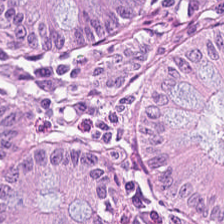Stain: H&E stain.
Tissue class: non-neoplastic colon mucosa.
